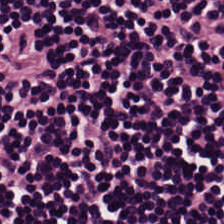H&E stain. Showing lymphocyte aggregate.
